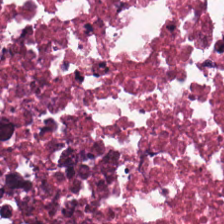Predominant tissue — debris.
